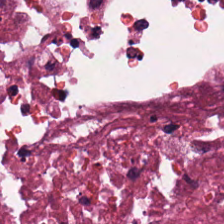Impression → debris.
